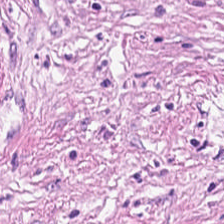H&E; formalin-fixed paraffin-embedded section.
Q: Classify this patch.
A: The field shows cancer-associated stroma.
